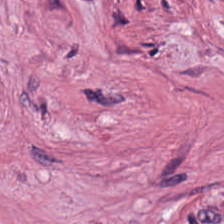Q: Identify the tissue.
A: This is desmoplastic stroma.
